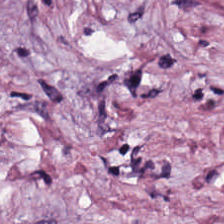Stain: H&E stain.
Tissue type: tumor-associated stroma.
